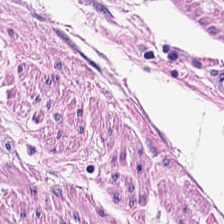Hematoxylin-and-eosin stained section; WSI patch — Classification — muscularis.
